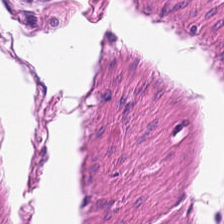Hematoxylin-and-eosin section: muscularis.
